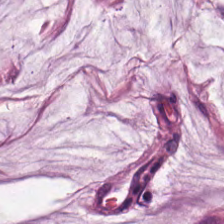224×224 px patch; 0.5 µm per pixel; hematoxylin-and-eosin stained section. Classification — mucus.
